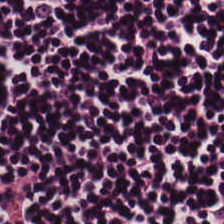Classification: lymphoid infiltrate.
